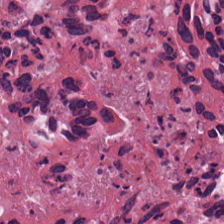H&E. 0.5 microns per pixel. WSI patch — {"tissue_type": "necrotic debris"}
